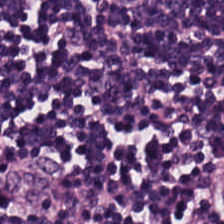20× equivalent magnification. H&E. Formalin-fixed paraffin-embedded section — Q: What does this patch show?
A: This is lymphocytic infiltrate.
